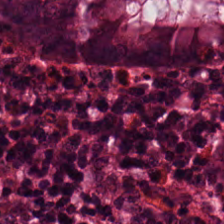224×224 pixel tile. Brightfield microscopy. Hematoxylin-and-eosin stained section — Showing normal colon mucosa.
